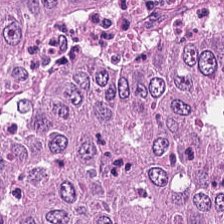Brightfield microscopy. H&E-stained tissue section — This field is malignant epithelium.
